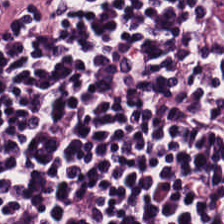Hematoxylin-and-eosin stained section. Q: Classify this patch.
A: This is lymphocyte aggregate.
